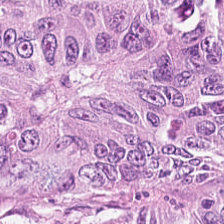The predominant tissue is tumor epithelium.
